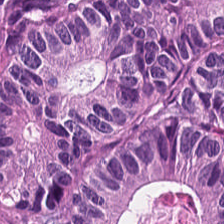Hematoxylin-and-eosin stained section · 224×224 px patch · FFPE tissue section — Predominantly malignant epithelium.
